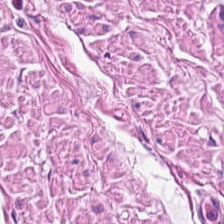H&E stain.
Histology → smooth muscle.
